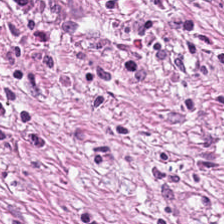H&E · FFPE. The classification is tumor stroma.
